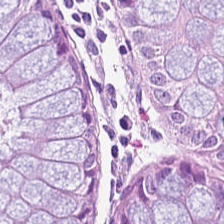Stain: H&E.
Tile size: 224×224 pixel tile.
Resolution: 0.5 µm per pixel.
Tissue class: non-neoplastic colon mucosa.
